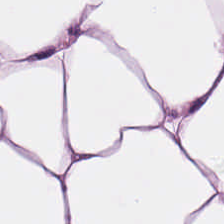H&E. 0.5 µm/px.
Q: Identify the tissue.
A: It is adipose tissue.
